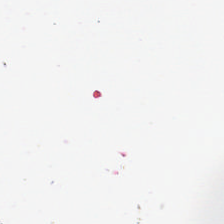Classification: empty background.
